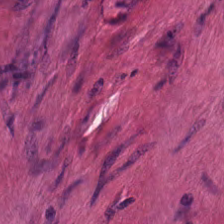Hematoxylin and eosin.
The tissue class is smooth muscle.
